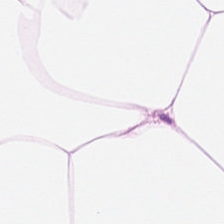FFPE. Hematoxylin and eosin. 0.5 µm/px.
The tissue class is adipose.
